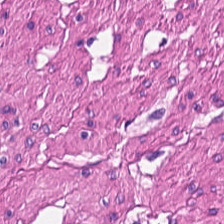Hematoxylin and eosin. Q: What type of tissue is this?
A: The field shows smooth muscle.
